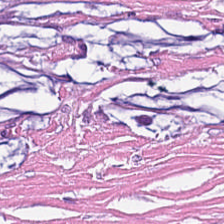H&E-stained tissue section. {"tissue_type": "cancer-associated stroma"}
